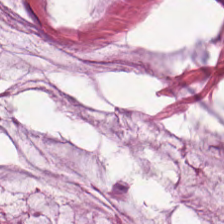Hematoxylin and eosin; 224×224 px patch. Finding → extracellular mucin.
